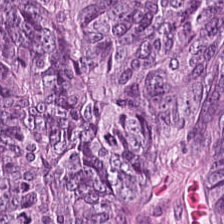H&E stain. Q: What type of tissue is this?
A: The field shows adenocarcinoma.
